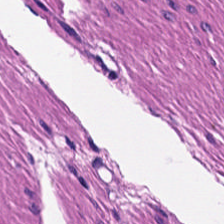0.5 microns per pixel; WSI patch; hematoxylin-and-eosin stained section. Muscularis.
